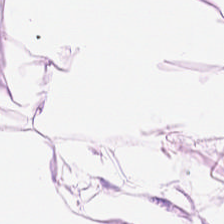This field is adipose tissue.
